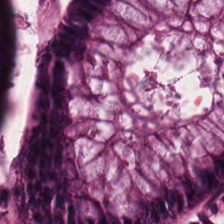Tissue class: benign colonic mucosa.
